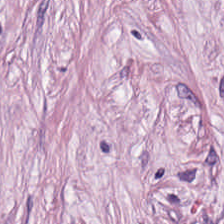Stain: H&E.
Resolution: 0.5 µm per pixel.
Classification: tumor stroma.
